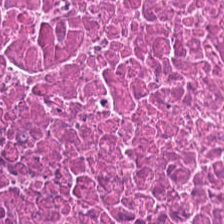Showing debris.
